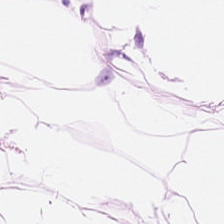Hematoxylin and eosin. Q: What is the predominant tissue type?
A: Adipocytes.
